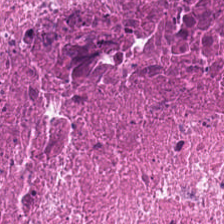Whole-slide-image patch · FFPE tissue section · hematoxylin-and-eosin stained section — Tissue type: debris.
